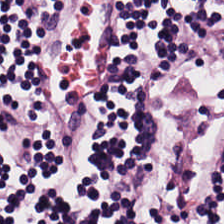0.5 microns per pixel · whole-slide-image patch · hematoxylin and eosin.
Tissue type = lymphocyte aggregate.
